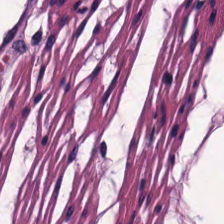FFPE; H&E stain — Q: What type of tissue is this?
A: It is muscularis.
